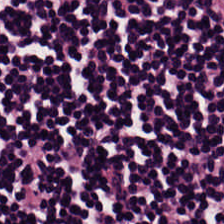Hematoxylin-and-eosin stained section.
This patch shows lymphocyte aggregate.
